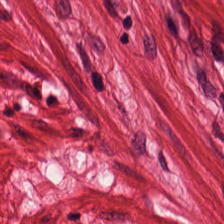FFPE tissue section. H&E. Brightfield. This patch shows smooth muscle.
